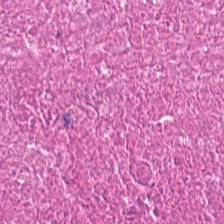H&E-stained tissue section; 0.5 microns per pixel; 224×224 pixel tile.
Predominant tissue — cellular debris.
